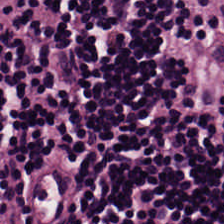Whole-slide-image patch. Hematoxylin and eosin. The predominant tissue is lymphocytes.
